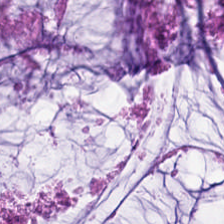Hematoxylin and eosin.
Classification = extracellular mucin.
